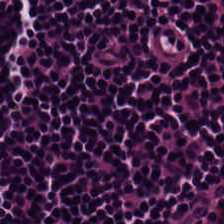Q: What is shown in this field?
A: The field shows lymphocytes.
